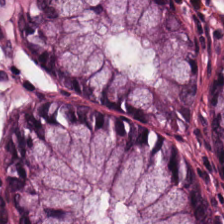Hematoxylin and eosin. This field is normal colonic mucosa.
